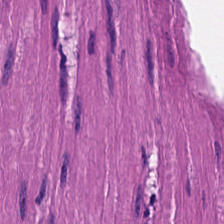Tissue: muscularis.
